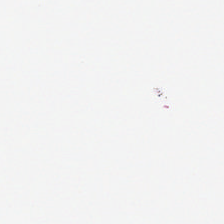Hematoxylin-and-eosin stained section · 224×224 px tile.
The field content is background.
